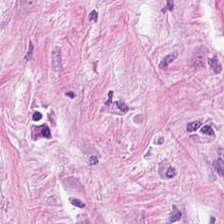Hematoxylin-and-eosin stained section.
Showing desmoplastic stroma.
